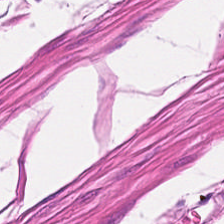Hematoxylin and eosin. FFPE tissue section. Showing smooth-muscle tissue.
